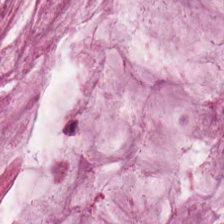H&E-stained tissue section. Tissue class — extracellular mucin.
